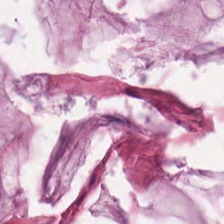H&E patch showing mucus.
